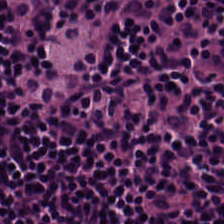Histology — lymphocyte aggregate.
